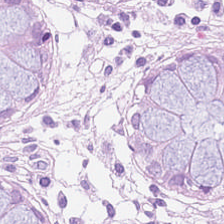Hematoxylin and eosin. Formalin-fixed paraffin-embedded section.
Histology — benign colonic mucosa.
